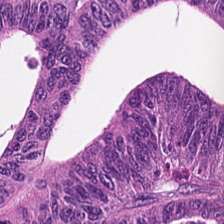Hematoxylin and eosin.
Malignant epithelium.
